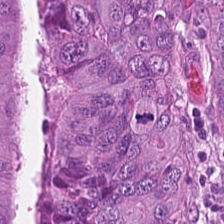Stain: H&E-stained tissue section.
Tile size: 224×224 px patch.
Predominant tissue: colorectal adenocarcinoma epithelium.
